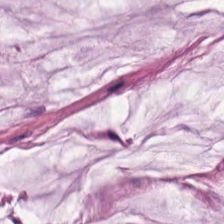Hematoxylin and eosin — The classification is mucus.
